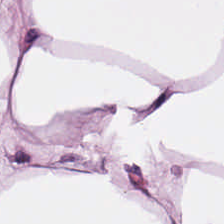Hematoxylin and eosin · WSI patch. Adipocytes.
